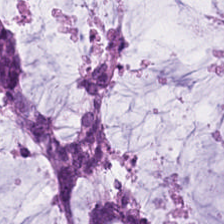Tissue: mucus.
